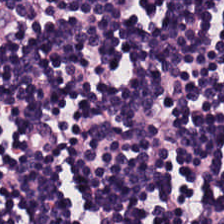Stain: hematoxylin-and-eosin stained section.
Acquisition: brightfield.
Resolution: 0.5 µm/px.
Classification: lymphocytes.
